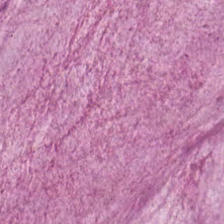H&E stain.
Q: What tissue is shown?
A: Mucin.
